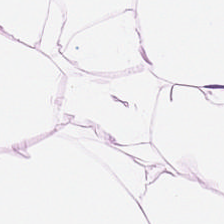FFPE tissue section · hematoxylin-and-eosin stained section. Histology — fat tissue.
